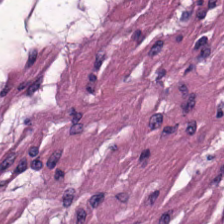H&E stain; 0.5 microns per pixel. Histology — muscularis.
